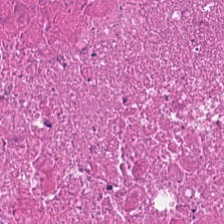Hematoxylin-and-eosin stained section. Q: What type of tissue is this?
A: It is cellular debris.
